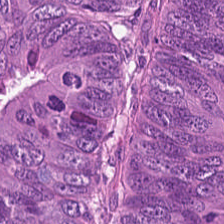H&E-stained tissue section.
{"tissue_type": "colorectal adenocarcinoma epithelium"}
